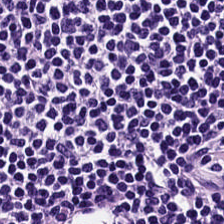The classification is lymphocytes.
